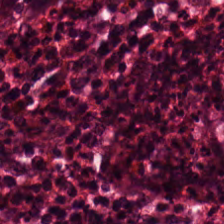H&E-stained tissue section. Showing benign colonic mucosa.
